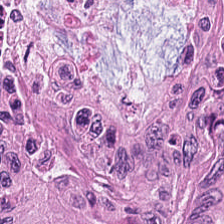H&E.
Finding → colorectal adenocarcinoma.
